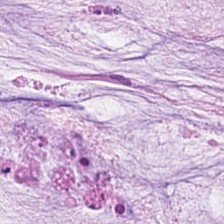H&E stain · 0.5 microns per pixel. Finding → mucus.
